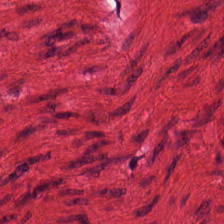H&E — muscularis.
